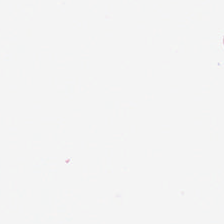Hematoxylin and eosin — Q: What is shown here?
A: The field shows no tissue.
